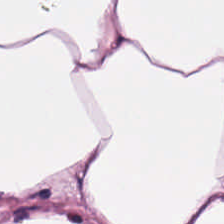H&E — This field is adipose tissue.
